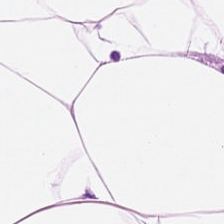Hematoxylin-and-eosin section: fat tissue.
